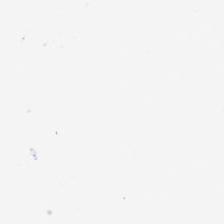Content — background.
